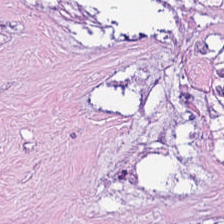0.5 µm/px · FFPE tissue section · H&E-stained tissue section — Tissue: necrotic debris.
